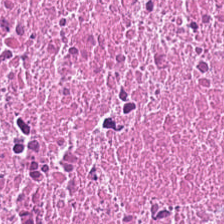Hematoxylin and eosin — Classification — debris.
